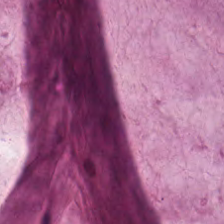H&E stain · WSI patch — {"tissue_type": "mucin"}
